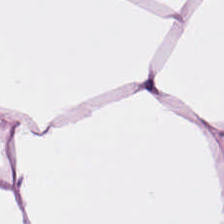Histology → fat tissue.
